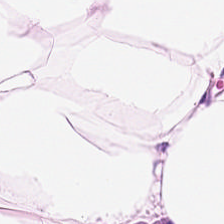H&E.
Impression → adipose tissue.
